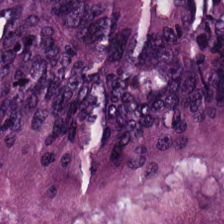H&E stain. 0.5 µm/px.
The tissue is malignant epithelium.
